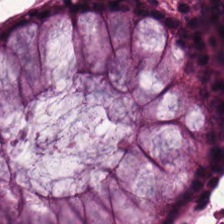Hematoxylin-and-eosin stained section. WSI patch. Finding — benign colonic mucosa.
